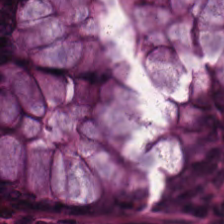Brightfield microscopy; H&E stain. Finding → normal colonic mucosa.
